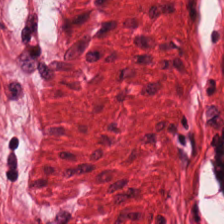Brightfield microscopy. 0.5 µm/px. Hematoxylin-and-eosin stained section — Q: What tissue is shown?
A: It is smooth-muscle tissue.
